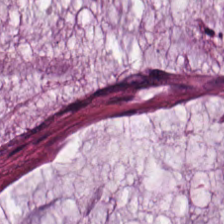Hematoxylin and eosin · 0.5 µm per pixel — Classification — mucus.
